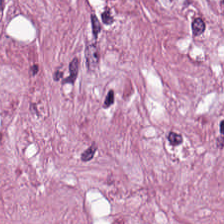Hematoxylin and eosin. 224×224 px tile. 0.5 µm/px — The tissue here is tumor-associated stroma.
